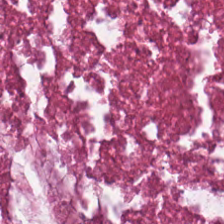H&E; whole-slide-image patch. {"tissue_type": "necrotic debris"}
